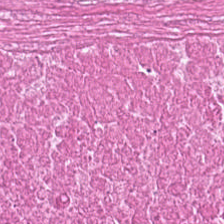H&E stain. Formalin-fixed paraffin-embedded section — Showing necrotic debris.
